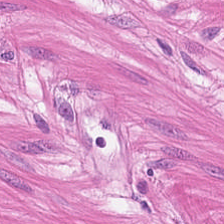0.5 µm/px; H&E-stained tissue section — The predominant tissue is smooth muscle.
